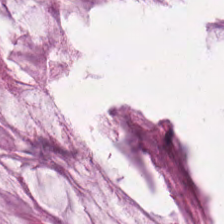Hematoxylin and eosin.
Q: What is shown here?
A: Extracellular mucin.
